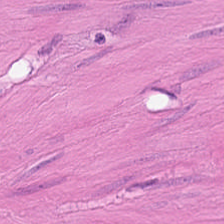224×224 pixel tile. H&E stain — Smooth-muscle tissue.
